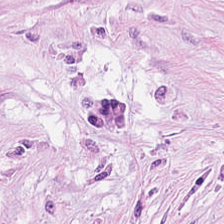H&E-stained tissue section — The predominant tissue is tumor stroma.
